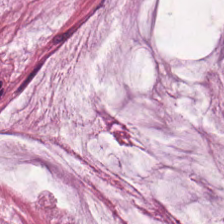Mucin.
